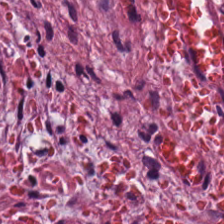Hematoxylin-and-eosin stained section · formalin-fixed paraffin-embedded section — Tissue class = cancer-associated stroma.
